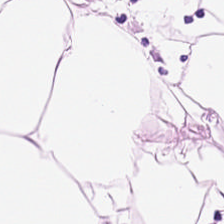H&E-stained tissue section; 0.5 µm/px; brightfield.
This patch shows adipocytes.
